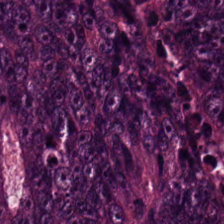Tissue class — adenocarcinoma.
